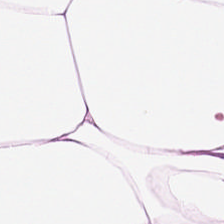H&E-stained tissue section — This field is adipose.
